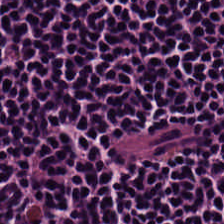Predominant tissue: lymphocyte aggregate.
